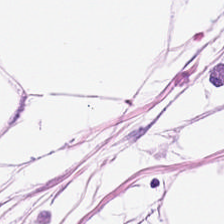H&E patch showing fat tissue.
